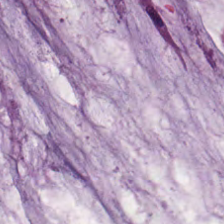H&E stain. Brightfield. Extracellular mucin.
